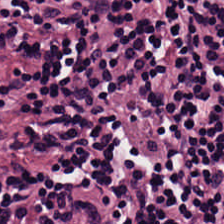Hematoxylin-and-eosin stained section. Q: What is the predominant tissue type?
A: Lymphocytes.
